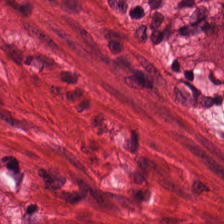Stain: hematoxylin and eosin.
Preparation: FFPE tissue section.
Tissue type: smooth-muscle tissue.
